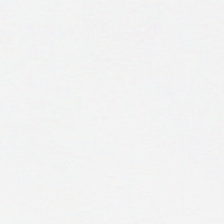The content is empty background.
